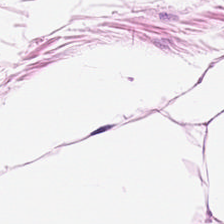Hematoxylin and eosin · FFPE tissue section · 0.5 µm per pixel. Tissue: fat tissue.
